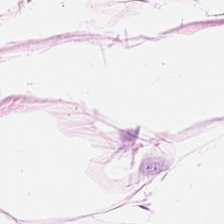H&E stain · 0.5 µm/px. Tissue class — adipose tissue.
